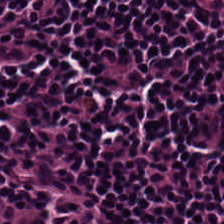224×224 px patch · hematoxylin and eosin.
{"tissue_type": "lymphoid infiltrate"}
